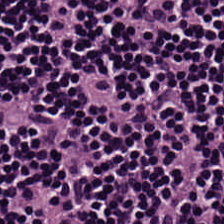224×224 px tile; H&E stain.
This field is lymphocytes.
